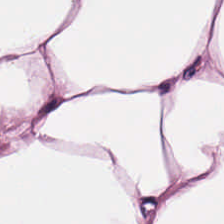Hematoxylin-and-eosin stained section. Fat tissue.
